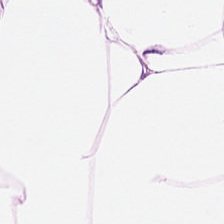Stain: H&E.
Tissue type: fat tissue.
